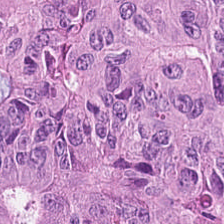Hematoxylin-and-eosin stained section — Impression — adenocarcinoma.
